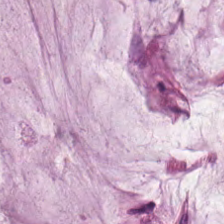Hematoxylin and eosin. The predominant tissue is extracellular mucin.
